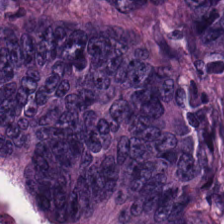WSI patch. H&E. 0.5 microns per pixel.
This field is adenocarcinoma.
